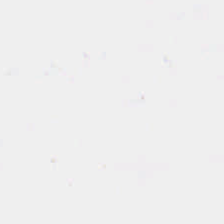Hematoxylin-and-eosin stained section — Finding — no tissue.
